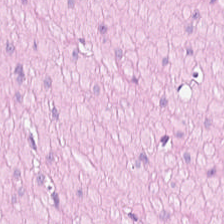Stain: H&E-stained tissue section.
Tissue: smooth-muscle tissue.
